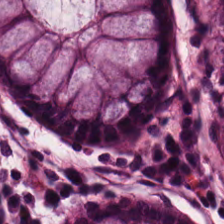Stain: H&E-stained tissue section.
Tissue: benign colonic mucosa.
